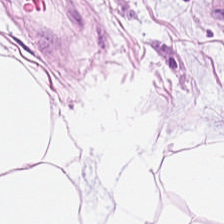Stain: H&E.
Predominant tissue: adipose tissue.
